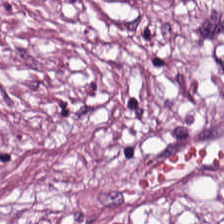Hematoxylin-and-eosin stained section.
Predominantly tumor-associated stroma.
